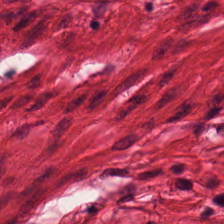H&E — Showing smooth muscle.
